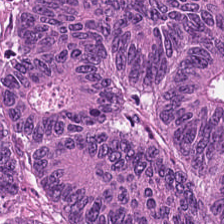Stain: H&E.
Preparation: FFPE tissue section.
Tile size: 224×224 px patch.
Tissue type: tumor epithelium.
